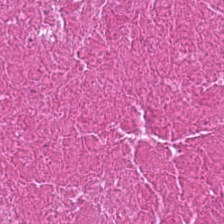0.5 µm/px · hematoxylin-and-eosin stained section — This patch shows debris.
